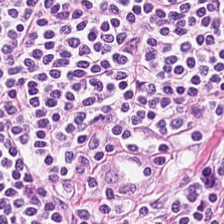H&E-stained tissue section — Q: What tissue type is shown here?
A: This is lymphocytes.
